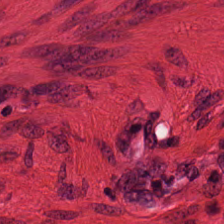Hematoxylin-and-eosin stained section · 20× equivalent magnification. This patch shows smooth-muscle tissue.
